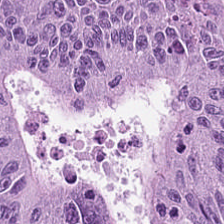Stain: H&E-stained tissue section.
Tile size: 224×224 pixel tile.
Tissue class: colorectal adenocarcinoma.
